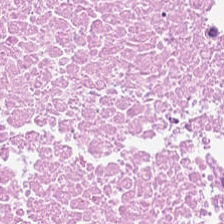H&E stain — Tissue type — necrotic debris.
